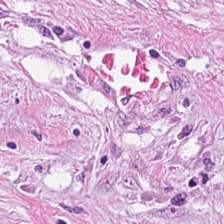H&E stain.
{"tissue_type": "tumor-associated stroma"}
